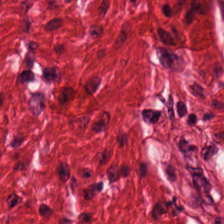H&E stain — {"tissue_type": "smooth-muscle tissue"}
